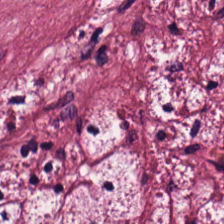20× equivalent magnification; H&E-stained tissue section — {"tissue_type": "tumor stroma"}
